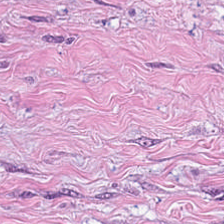Hematoxylin-and-eosin stained section.
Predominant tissue — tumor-associated stroma.
